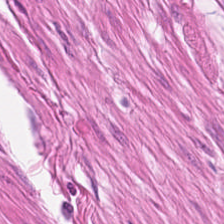H&E. Tissue type = muscularis.
